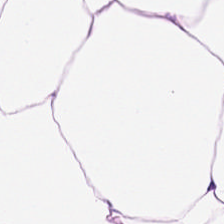Q: What type of tissue is this?
A: Adipose.
